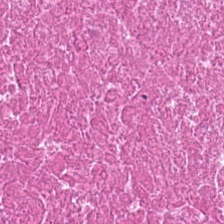H&E-stained tissue section. Q: What is shown in this field?
A: The field shows necrotic debris.
